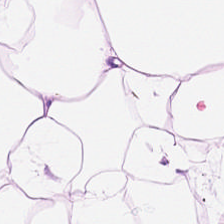H&E stain.
Finding — adipose tissue.
